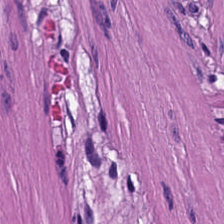H&E · brightfield — Finding — smooth-muscle tissue.
